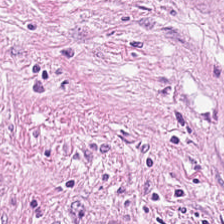FFPE. H&E — Tumor stroma.
